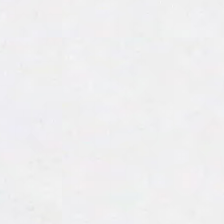Q: What is shown here?
A: The field shows background.
